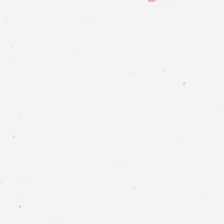Empty background.
